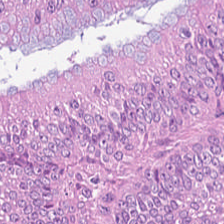H&E. 224×224 px tile — {"tissue_type": "colorectal adenocarcinoma epithelium"}
